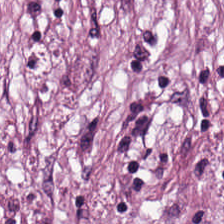Tumor-associated stroma.
